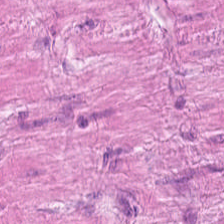Stain: H&E-stained tissue section.
Tissue type: smooth muscle.
